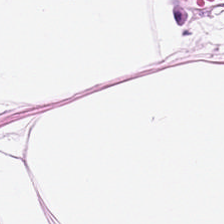The tissue is fat tissue.
